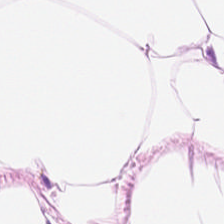Hematoxylin-and-eosin stained section. Q: What tissue is shown?
A: It is fat tissue.
